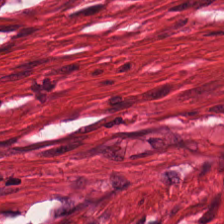0.5 µm/px. H&E-stained tissue section.
Predominantly smooth-muscle tissue.
